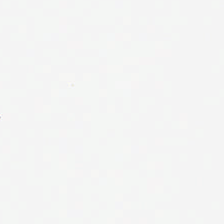0.5 microns per pixel · FFPE tissue section · hematoxylin and eosin.
Field content = empty background.
